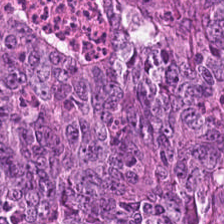Whole-slide-image patch. Hematoxylin and eosin. 0.5 microns per pixel. This patch shows colorectal adenocarcinoma epithelium.
